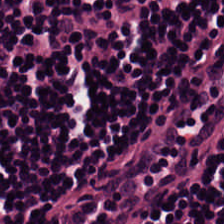H&E stain; 224×224 px tile — Tissue — lymphocyte aggregate.
